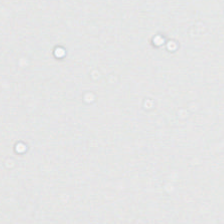H&E · 0.5 microns per pixel.
Empty field — background (no tissue).
